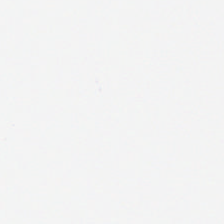H&E stain. {"content": "background"}
